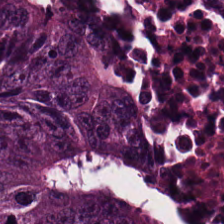Stain: hematoxylin and eosin.
Tissue: adenocarcinoma.
